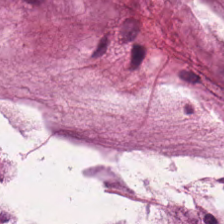H&E-stained tissue section.
Histology — extracellular mucin.
